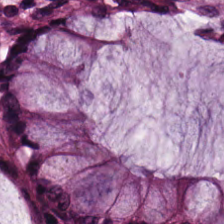H&E-stained tissue section. This patch shows normal colon mucosa.
